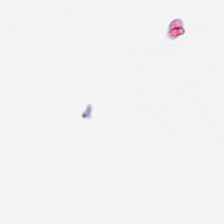Q: Classify this patch.
A: The field shows no tissue.
